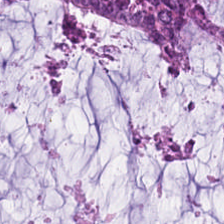Stain: H&E-stained tissue section.
Preparation: FFPE.
Acquisition: brightfield microscopy.
Classification: mucus.
